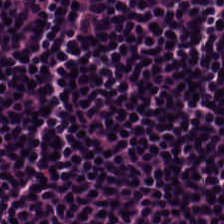Histology → lymphoid infiltrate.
